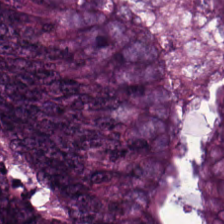Hematoxylin and eosin. FFPE. 0.5 microns per pixel — Tissue class: colorectal adenocarcinoma.
